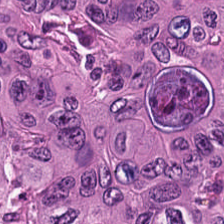Showing colorectal adenocarcinoma.
